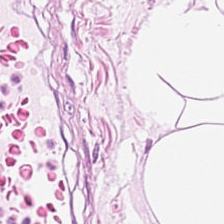Tissue class: adipose tissue.
